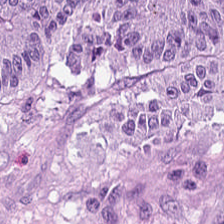Stain: H&E-stained tissue section.
Tissue: colorectal adenocarcinoma epithelium.
